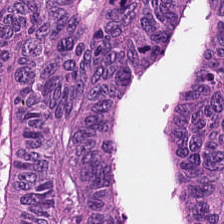FFPE; 224×224 pixel tile; hematoxylin-and-eosin stained section.
This field is adenocarcinoma.
